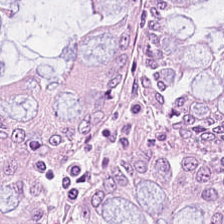Whole-slide-image patch. 224×224 px patch. H&E stain. Q: What is the predominant tissue type?
A: It is normal colonic mucosa.
